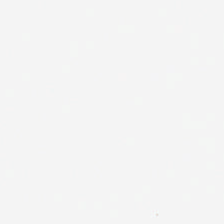Stain: H&E-stained tissue section.
Content: no tissue.
